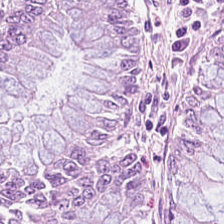H&E.
This field is normal colonic mucosa.
